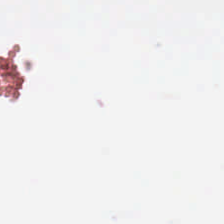This patch shows empty background.
